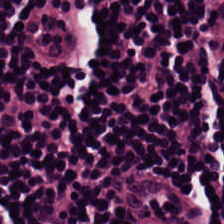Predominant tissue = lymphocytic infiltrate.
